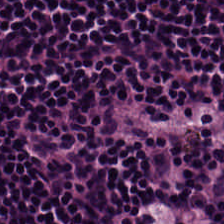Hematoxylin-and-eosin stained section. Brightfield microscopy. FFPE tissue section.
Tissue: lymphocytes.
